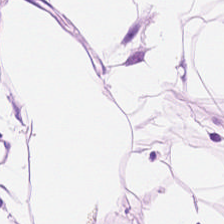H&E — Tissue type: adipose tissue.
